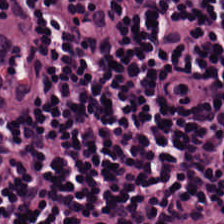Tissue: lymphocyte aggregate.
